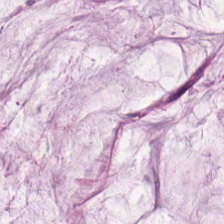Hematoxylin-and-eosin stained section.
Q: What tissue type is shown here?
A: This is extracellular mucin.
